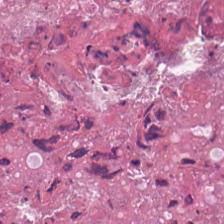H&E. Brightfield. FFPE. This field is debris.
